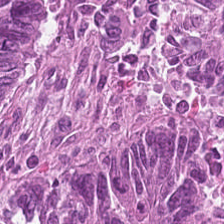Q: What type of tissue is this?
A: This is colorectal adenocarcinoma epithelium.
